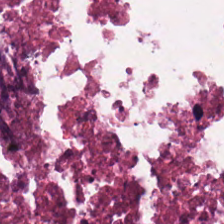0.5 µm per pixel; hematoxylin and eosin; 224×224 pixel tile — Necrotic debris.
